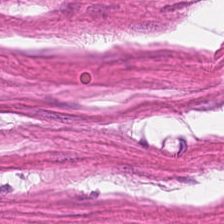H&E-stained tissue section — Predominant tissue = muscularis.
